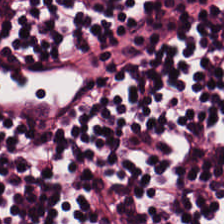Brightfield · 224×224 pixel tile · H&E stain. The predominant tissue is lymphoid infiltrate.
